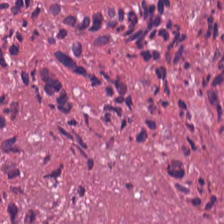224×224 pixel tile; 20× equivalent magnification; H&E — This field is debris.
